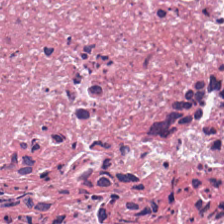Stain: H&E-stained tissue section.
Tile size: 224×224 px tile.
Tissue: debris.
